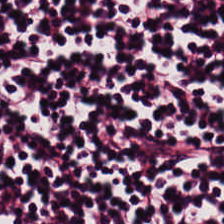Lymphocyte aggregate.
